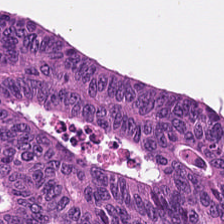224×224 px tile; H&E.
The predominant tissue is tumor epithelium.
